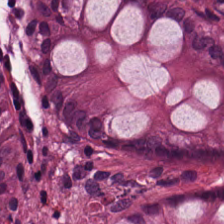Whole-slide-image patch · H&E — Predominantly normal colonic mucosa.
